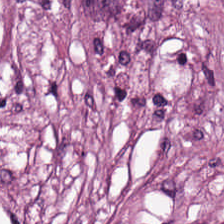Stain: H&E-stained tissue section.
Tissue type: desmoplastic stroma.
